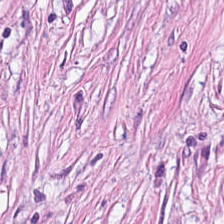Hematoxylin-and-eosin stained section — The tissue type is tumor stroma.
